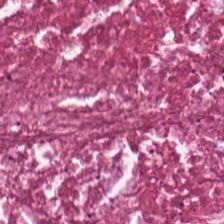Hematoxylin and eosin — Q: Classify this patch.
A: It is necrotic debris.
